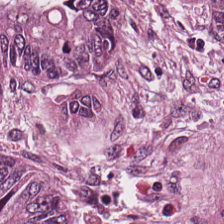FFPE tissue section. Hematoxylin-and-eosin stained section — The tissue type is tumor epithelium.
